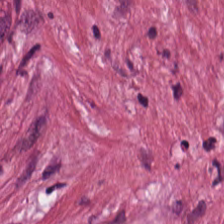H&E · 0.5 µm/px · FFPE.
Q: What type of tissue is this?
A: The field shows tumor stroma.
